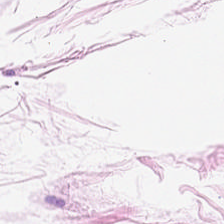224×224 pixel tile. Hematoxylin and eosin. FFPE — Predominantly fat tissue.
